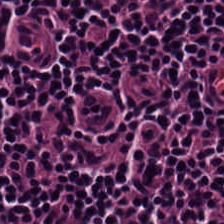Hematoxylin and eosin.
The predominant tissue is lymphocytes.
